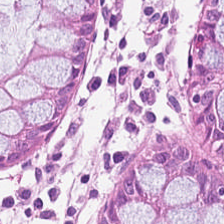224×224 px tile · hematoxylin-and-eosin stained section. {"tissue_type": "normal colonic mucosa"}
